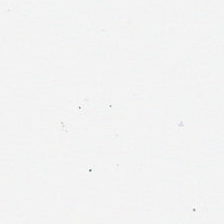Whole-slide-image patch. H&E stain. Formalin-fixed paraffin-embedded section — Content = background (no tissue).
